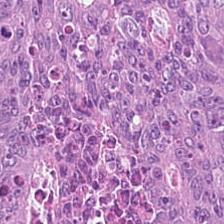The predominant tissue is colorectal adenocarcinoma epithelium.
